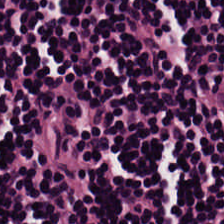Stain: H&E-stained tissue section.
Resolution: 0.5 µm/px.
Classification: lymphocyte aggregate.
